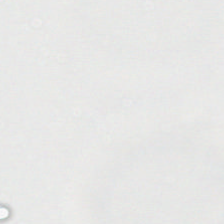Hematoxylin and eosin; 224×224 px tile. The classification is background (no tissue).
